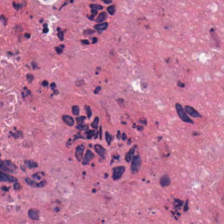Stain: H&E-stained tissue section.
Tissue type: cellular debris.
